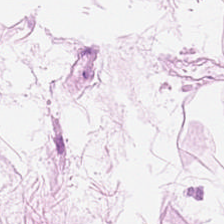Tissue — adipose tissue.
